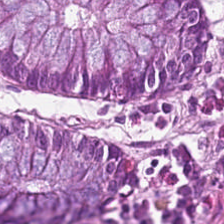Showing non-neoplastic colon mucosa.
